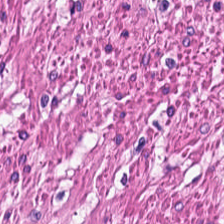FFPE tissue section · hematoxylin-and-eosin stained section. Tissue class — muscularis.
